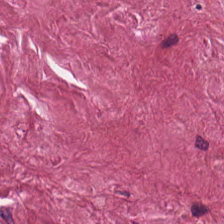H&E. 224×224 px tile. Predominantly tumor stroma.
